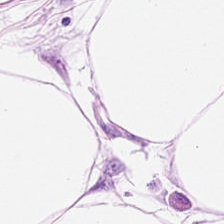Hematoxylin and eosin.
Showing adipocytes.
